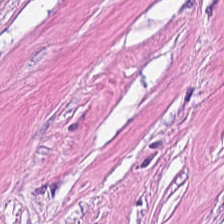Hematoxylin-and-eosin stained section. The predominant tissue is tumor stroma.
